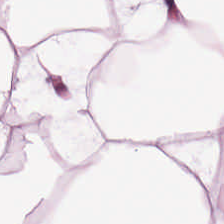Hematoxylin-and-eosin stained section. Tissue — adipose.
